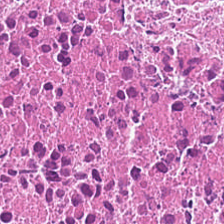H&E patch showing necrotic debris.
